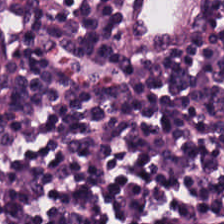The tissue is lymphocytic infiltrate.
